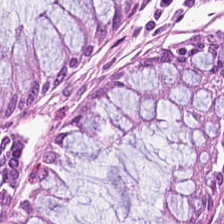Hematoxylin and eosin — Q: What tissue is shown?
A: Benign colonic mucosa.
